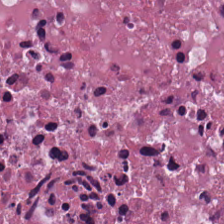Hematoxylin and eosin — This patch shows cellular debris.
